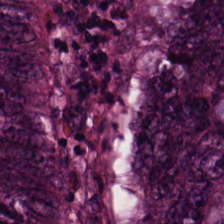Q: What is shown here?
A: Tumor epithelium.
